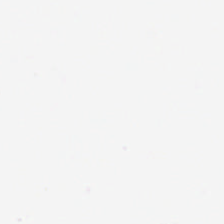Formalin-fixed paraffin-embedded section; 224×224 px tile; hematoxylin and eosin.
Classification = no tissue.
